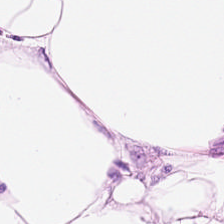H&E-stained tissue section — The predominant tissue is adipose.
